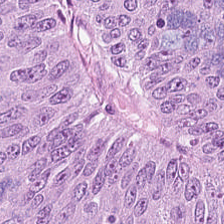Predominant tissue — adenocarcinoma.
